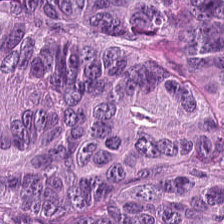H&E — malignant epithelium.
